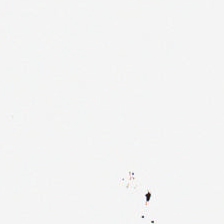This patch shows no tissue.
